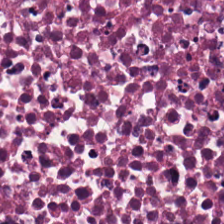Hematoxylin-and-eosin stained section. Impression → debris.
